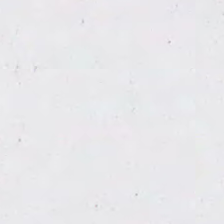H&E stain.
{"content": "empty background"}
